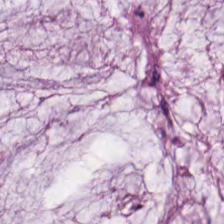Q: What is shown in this field?
A: Mucus.
